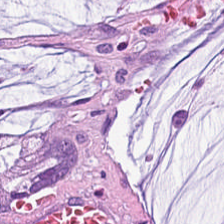H&E.
Q: What is shown in this field?
A: This is mucus.
